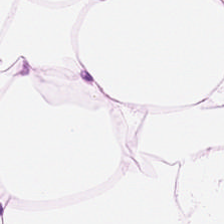Hematoxylin and eosin; 224×224 px tile — Showing adipocytes.
